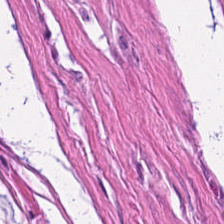Stain: H&E stain.
Preparation: formalin-fixed paraffin-embedded section.
Tile size: 224×224 px tile.
Tissue: smooth muscle.
